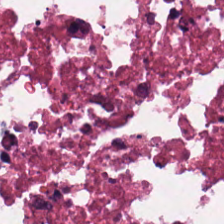H&E-stained tissue section. The tissue class is debris.
